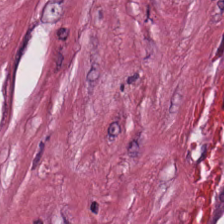H&E-stained tissue section.
This patch shows tumor stroma.
